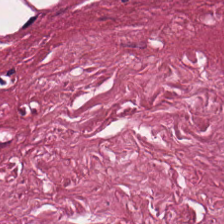H&E · 0.5 µm/px — Q: What does this patch show?
A: The field shows tumor-associated stroma.
